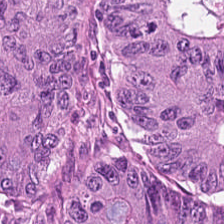Hematoxylin-and-eosin stained section — This field is tumor epithelium.
